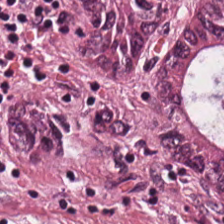H&E patch showing colorectal adenocarcinoma epithelium.
